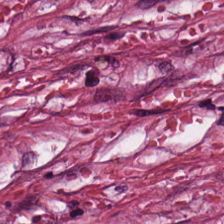Hematoxylin-and-eosin stained section. Formalin-fixed paraffin-embedded section.
This field is tumor-associated stroma.
